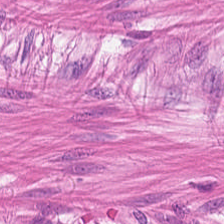224×224 px tile. Hematoxylin-and-eosin stained section. This patch shows muscularis.
